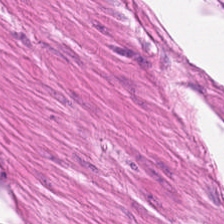Q: What does this patch show?
A: The field shows smooth-muscle tissue.
